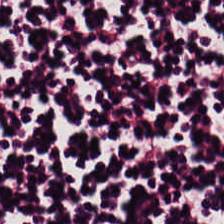H&E stain · WSI patch. Predominant tissue = lymphocytes.
